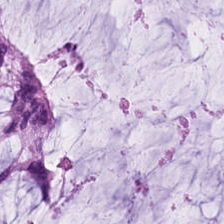H&E. Formalin-fixed paraffin-embedded section.
This patch shows mucus.
